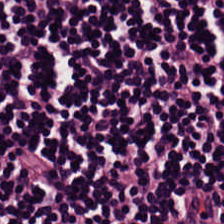Impression — lymphocytes.
